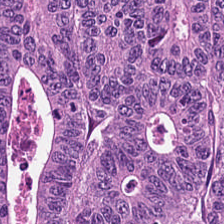Q: What is the predominant tissue type?
A: It is colorectal adenocarcinoma.
